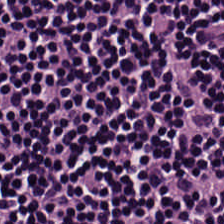Formalin-fixed paraffin-embedded section; H&E stain — Classification = lymphoid infiltrate.
